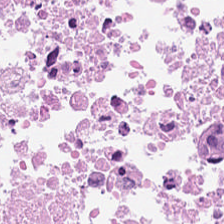0.5 µm/px; H&E.
The predominant tissue is necrotic debris.
